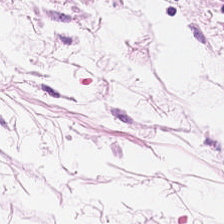H&E stain; FFPE tissue section — Showing fat tissue.
